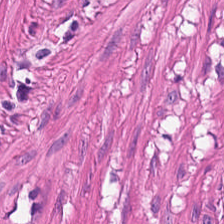Finding — smooth muscle.
